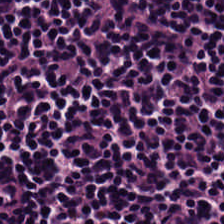Hematoxylin and eosin; FFPE tissue section; 0.5 µm/px — The tissue class is lymphocyte aggregate.
